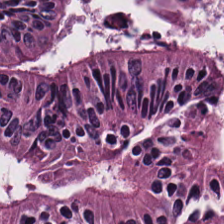H&E.
Tissue class: tumor epithelium.
